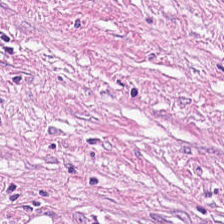H&E stain — This field is desmoplastic stroma.
